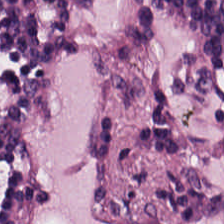0.5 µm per pixel · H&E stain · brightfield microscopy. Tissue class = lymphoid infiltrate.
